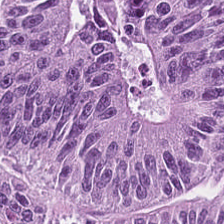Hematoxylin-and-eosin stained section. Q: What is shown here?
A: This is colorectal adenocarcinoma.
